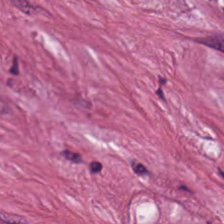Hematoxylin and eosin. The tissue here is cancer-associated stroma.
